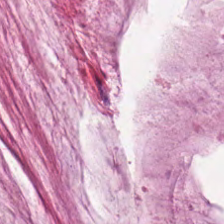Predominant tissue: mucin.
